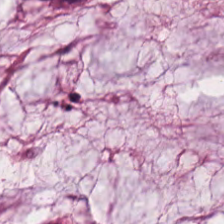H&E; 224×224 px patch — The tissue here is mucus.
